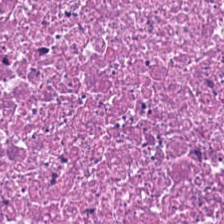Tissue: cellular debris.
